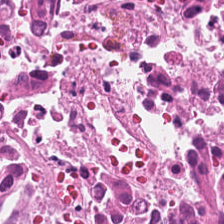Tissue: debris.
